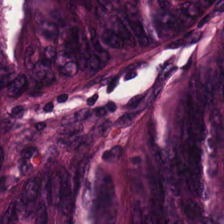H&E stain. Predominant tissue = tumor epithelium.
